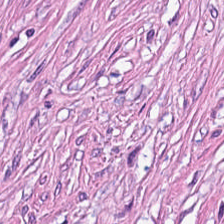Hematoxylin and eosin — Q: What is shown in this field?
A: Desmoplastic stroma.
